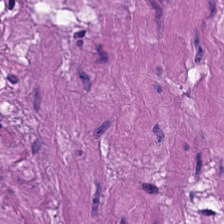Stain: H&E stain.
Acquisition: whole-slide-image patch.
Classification: smooth muscle.
